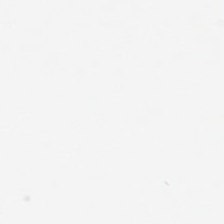H&E stain; 0.5 µm per pixel. No tissue.
